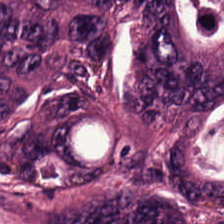Whole-slide-image patch · H&E-stained tissue section · 0.5 µm/px.
The predominant tissue is colorectal adenocarcinoma.
